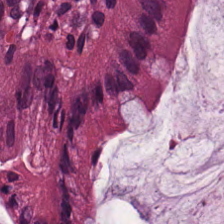Hematoxylin-and-eosin stained section.
This field is normal colon mucosa.
